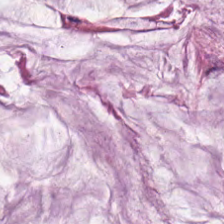Hematoxylin and eosin; formalin-fixed paraffin-embedded section. Q: Classify this patch.
A: The field shows mucus.
